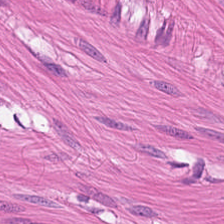Hematoxylin and eosin · formalin-fixed paraffin-embedded section. This field is smooth-muscle tissue.
